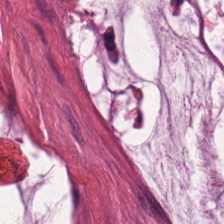Brightfield microscopy; H&E stain; 0.5 microns per pixel. Q: What is the predominant tissue type?
A: Mucus.
